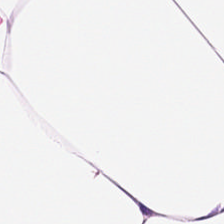H&E-stained tissue section · 224×224 pixel tile.
This patch shows adipose.
